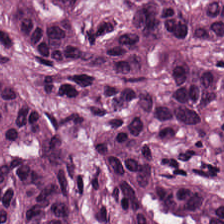Hematoxylin and eosin. The tissue type is malignant epithelium.
